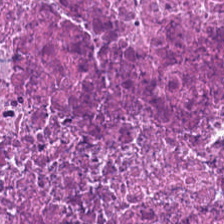Hematoxylin-and-eosin stained section.
Q: What is shown in this field?
A: This is cellular debris.
